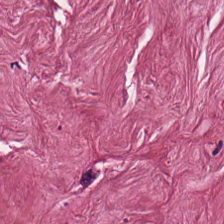Stain: H&E stain.
Tissue class: tumor stroma.
